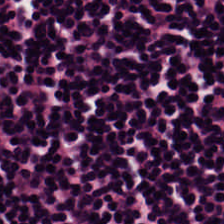The tissue class is lymphocytic infiltrate.
